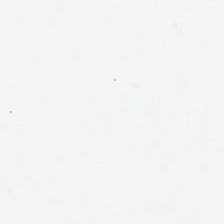H&E — Empty background.
